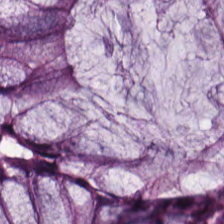224×224 px tile; FFPE; hematoxylin-and-eosin stained section. The tissue type is benign colonic mucosa.
